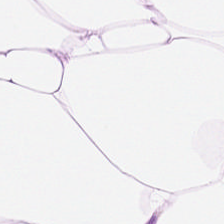Finding → adipose.
